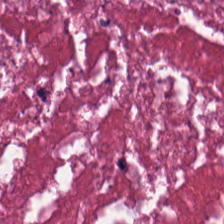H&E. Whole-slide-image patch — {"tissue_type": "cellular debris"}
